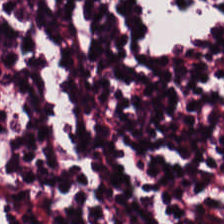The tissue class is lymphoid infiltrate.
